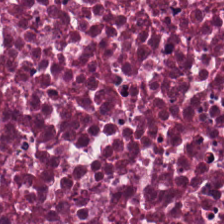H&E-stained tissue section.
Q: What tissue is shown?
A: Debris.
